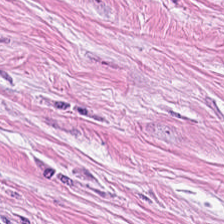Hematoxylin and eosin · 0.5 µm per pixel.
Q: What does this patch show?
A: This is tumor stroma.
